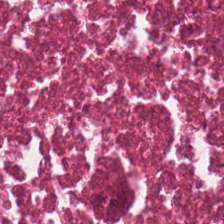224×224 pixel tile · H&E-stained tissue section — Q: What is shown in this field?
A: The field shows cellular debris.
